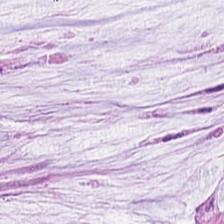H&E — mucin.
